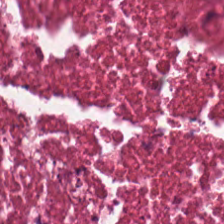Hematoxylin-and-eosin stained section — Tissue = debris.
